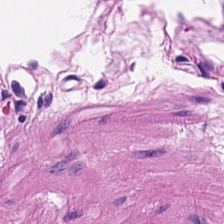Histology — smooth muscle.
